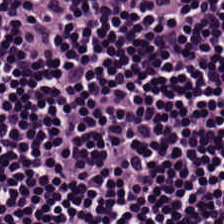Tissue type — lymphocytic infiltrate.
